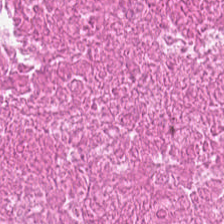H&E — Tissue class — necrotic debris.
